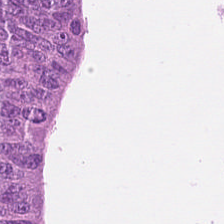Hematoxylin-and-eosin stained section. Q: Classify this patch.
A: The field shows malignant epithelium.
